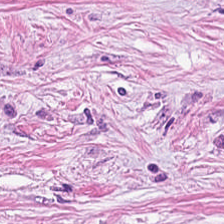Predominant tissue: cancer-associated stroma.
